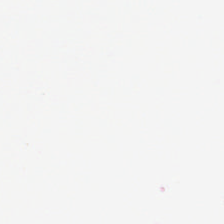Classification — no tissue.
